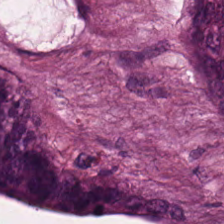H&E-stained tissue section.
Q: What tissue is shown?
A: The field shows cellular debris.
